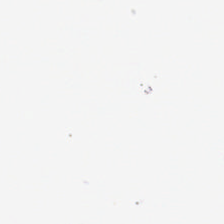H&E-stained tissue section. Empty field — empty background.
